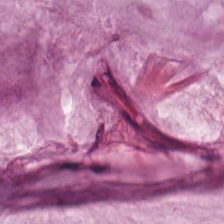WSI patch. H&E-stained tissue section — Mucin.
